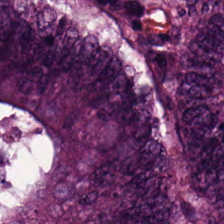224×224 px patch; brightfield; H&E-stained tissue section. Q: Identify the tissue.
A: This is colorectal adenocarcinoma.
